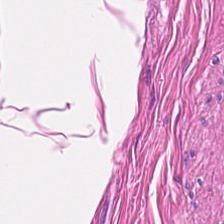Q: What is the predominant tissue type?
A: The field shows smooth muscle.
